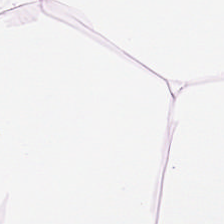224×224 px tile. Hematoxylin and eosin. Impression — adipocytes.
